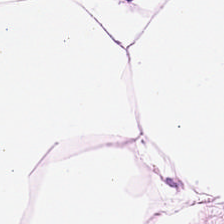H&E-stained tissue section. Brightfield microscopy. 224×224 px tile. Predominant tissue — adipose.
